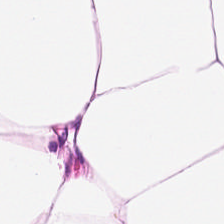Hematoxylin and eosin.
Q: Identify the tissue.
A: The field shows adipose tissue.
